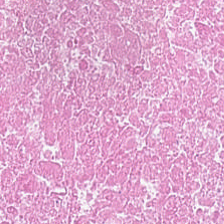Hematoxylin and eosin.
This patch shows cellular debris.
